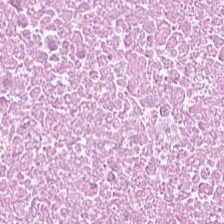H&E stain · 0.5 microns per pixel — The tissue type is debris.
